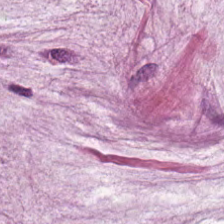Q: What does this patch show?
A: Mucus.
